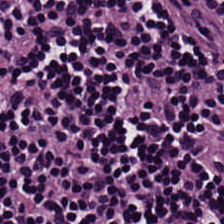H&E stain; whole-slide-image patch; FFPE tissue section.
Predominantly lymphocytes.
